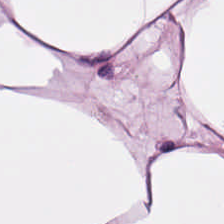H&E. FFPE tissue section.
Q: Classify this patch.
A: It is fat tissue.
